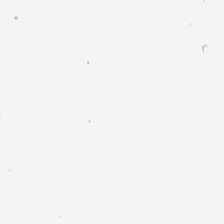224×224 px patch; H&E. This patch shows no tissue.
